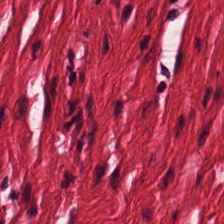Whole-slide-image patch; H&E.
Tissue class — smooth-muscle tissue.
